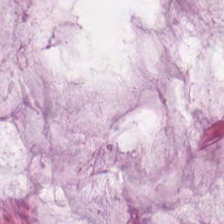H&E-stained tissue section · WSI patch.
Classification = mucus.
